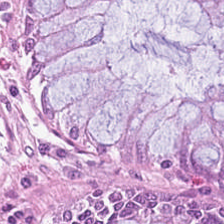Hematoxylin and eosin; 224×224 px tile; brightfield microscopy.
Tissue: non-neoplastic colon mucosa.
